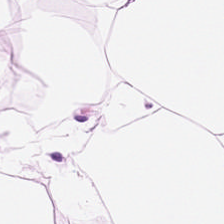H&E stain. Adipocytes.
